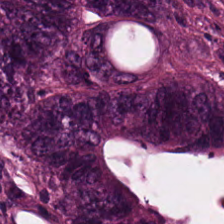Hematoxylin-and-eosin stained section.
The predominant tissue is colorectal adenocarcinoma epithelium.
